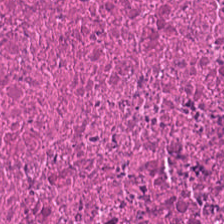Hematoxylin and eosin.
This patch shows necrotic debris.
